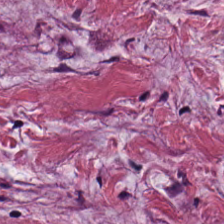The classification is desmoplastic stroma.
